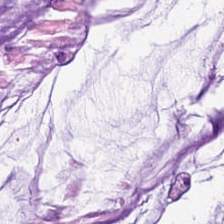H&E stain.
The tissue here is extracellular mucin.
